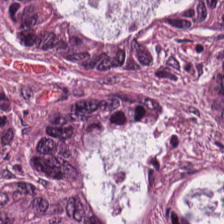Hematoxylin-and-eosin section: adenocarcinoma.
